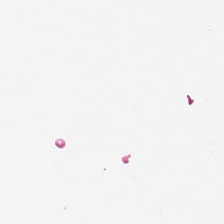Content — background.
